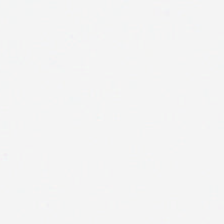Q: Classify this patch.
A: This is empty background.
